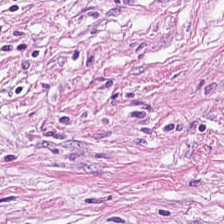Stain: H&E.
Tissue class: desmoplastic stroma.
